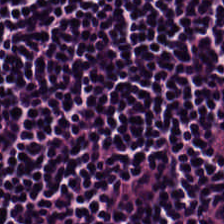FFPE; hematoxylin and eosin; whole-slide-image patch — Tissue class = lymphocytic infiltrate.
